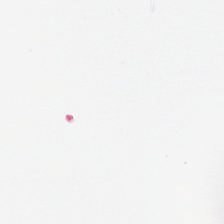Stain: H&E stain.
Content: background (no tissue).
